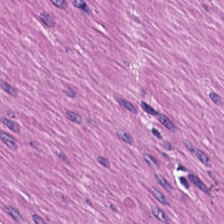Hematoxylin-and-eosin stained section.
Q: What is shown here?
A: It is muscularis.
